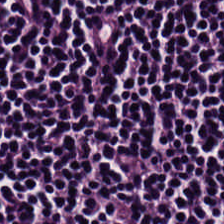Hematoxylin-and-eosin stained section. This patch shows lymphoid infiltrate.
